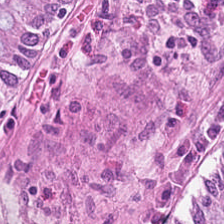224×224 px patch; H&E-stained tissue section. Predominant tissue — normal colon mucosa.
